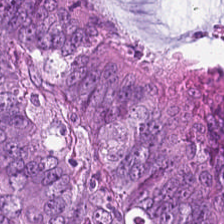Histology — malignant epithelium.
